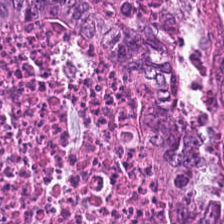H&E-stained tissue section. Tissue type = tumor epithelium.
